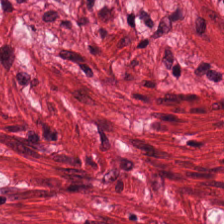H&E-stained tissue section. Showing smooth-muscle tissue.
